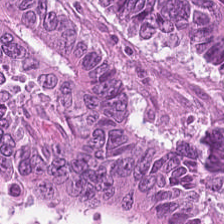H&E — Finding → colorectal adenocarcinoma epithelium.
